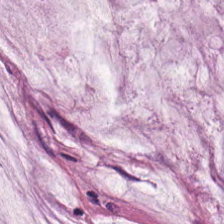H&E stain — The tissue is mucin.
